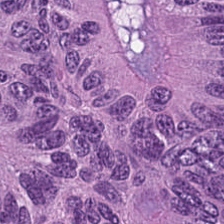224×224 pixel tile; H&E-stained tissue section; FFPE tissue section. Tissue type — colorectal adenocarcinoma.
